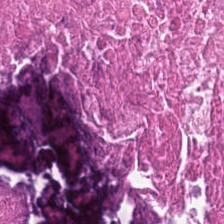Stain: hematoxylin and eosin.
Classification: necrotic debris.
